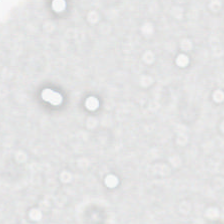Brightfield; H&E. {"content": "empty background"}
